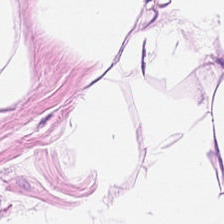Hematoxylin and eosin; FFPE tissue section; 0.5 µm/px. {"tissue_type": "adipose tissue"}
